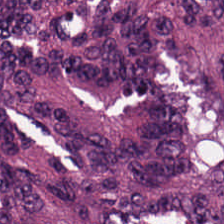WSI patch · hematoxylin and eosin. The tissue class is adenocarcinoma.
